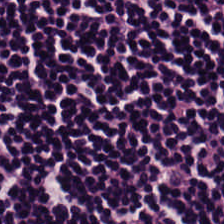Tissue = lymphoid infiltrate.
